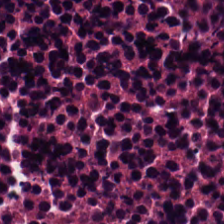224×224 px patch · H&E stain — Q: What is shown in this field?
A: The field shows debris.
